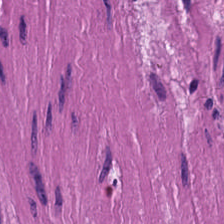224×224 px patch; hematoxylin and eosin; WSI patch.
The predominant tissue is smooth muscle.
